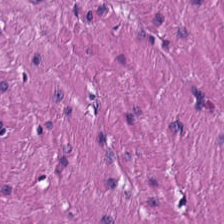Tissue class: smooth-muscle tissue.
